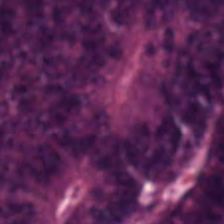Stain: hematoxylin and eosin.
Tissue class: tumor epithelium.
